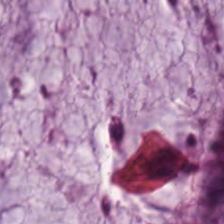Stain: hematoxylin and eosin.
Acquisition: whole-slide-image patch.
Preparation: FFPE.
Tissue: mucus.
